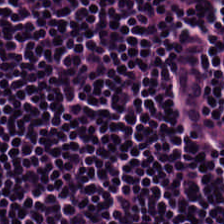H&E · 224×224 px patch.
Lymphocytic infiltrate.
